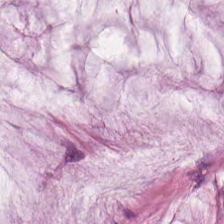H&E stain.
Predominantly mucus.
